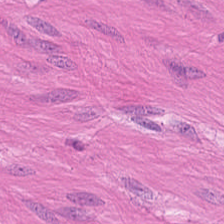224×224 px tile. H&E stain.
The predominant tissue is smooth muscle.
